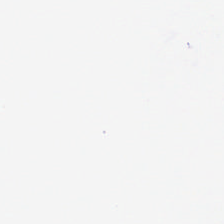Hematoxylin-and-eosin stained section — Empty field — empty background.
